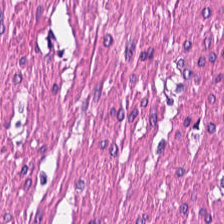Hematoxylin-and-eosin stained section · 0.5 µm/px — The tissue here is muscularis.
